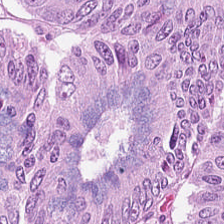H&E-stained tissue section; 20× equivalent magnification. This field is malignant epithelium.
